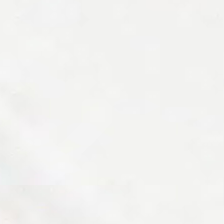Hematoxylin and eosin — Classification = background (no tissue).
